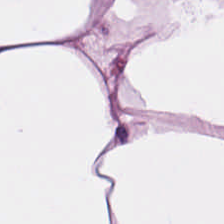FFPE · hematoxylin-and-eosin stained section. Q: What type of tissue is this?
A: The field shows adipocytes.
